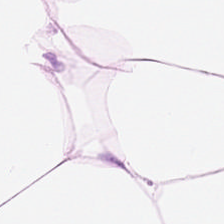Hematoxylin-and-eosin stained section — Predominantly adipocytes.
